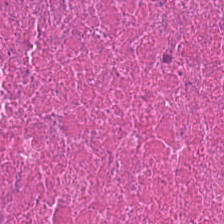Hematoxylin and eosin — Predominant tissue: cellular debris.
